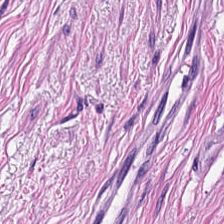H&E. Q: What is the predominant tissue type?
A: The field shows muscularis.
